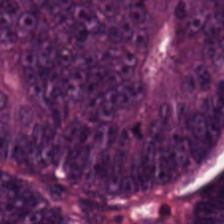H&E — Impression — adenocarcinoma.
